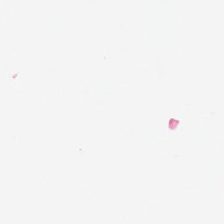FFPE tissue section · hematoxylin-and-eosin stained section · 224×224 px patch — Finding → background.
